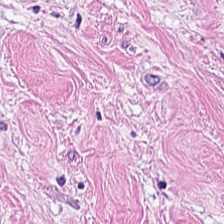Predominantly tumor-associated stroma.
